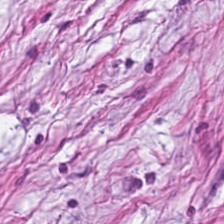H&E. Predominantly desmoplastic stroma.
